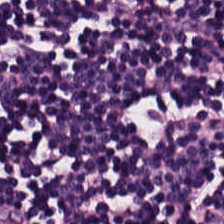Predominantly lymphocytic infiltrate.
